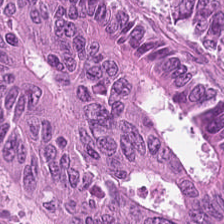This field is colorectal adenocarcinoma.
